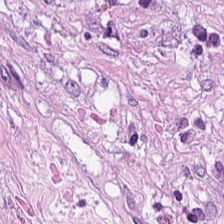Hematoxylin-and-eosin stained section.
{"tissue_type": "tumor-associated stroma"}
